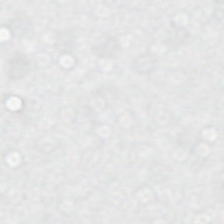This field is background (no tissue).
